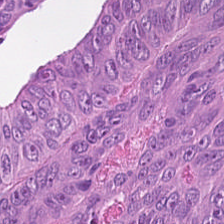0.5 µm per pixel; brightfield; H&E.
This field is adenocarcinoma.
